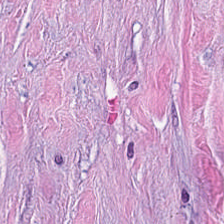H&E stain. Desmoplastic stroma.
